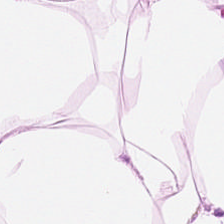Q: Classify this patch.
A: It is adipocytes.
